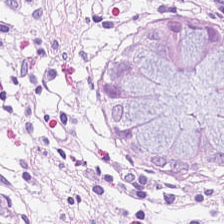Hematoxylin and eosin; 0.5 µm per pixel; FFPE — Predominantly benign colonic mucosa.
